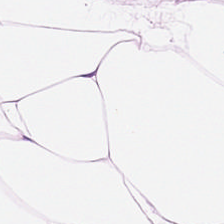Hematoxylin and eosin.
Predominant tissue = adipose.
